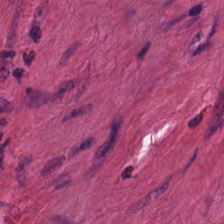H&E stain — Finding — smooth muscle.
